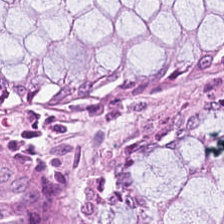H&E stain; 0.5 µm/px; 224×224 px patch. Tissue = normal colon mucosa.
